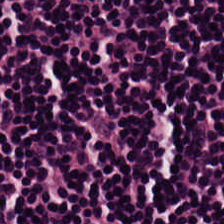WSI patch. 0.5 µm per pixel. H&E stain.
Lymphocytes.
